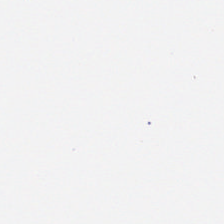H&E stain. {"content": "background (no tissue)"}
